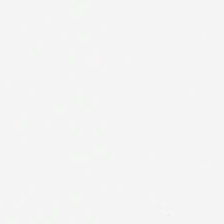Hematoxylin-and-eosin stained section — Content: background (no tissue).
